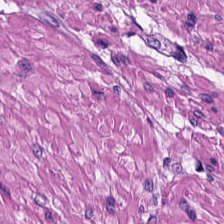H&E stain; 0.5 microns per pixel — Classification: muscularis.
